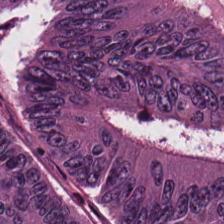H&E-stained tissue section.
Tissue: malignant epithelium.
